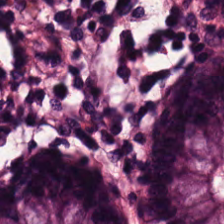H&E — Finding → benign colonic mucosa.
